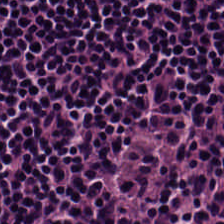Hematoxylin-and-eosin stained section; FFPE tissue section; 224×224 px tile — Q: What tissue is shown?
A: Lymphocyte aggregate.
